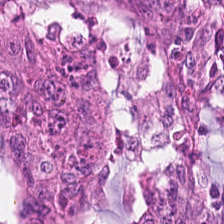Impression → tumor epithelium.
